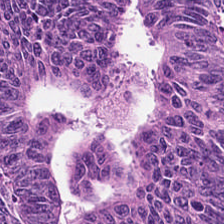H&E. Tissue class = colorectal adenocarcinoma epithelium.
